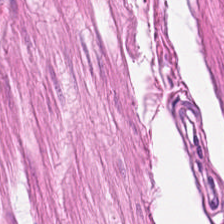0.5 µm/px. Hematoxylin and eosin — {"tissue_type": "smooth muscle"}
